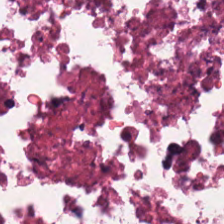Tissue = cellular debris.
